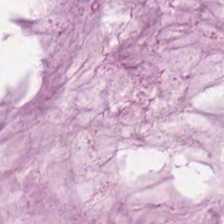Impression — extracellular mucin.
